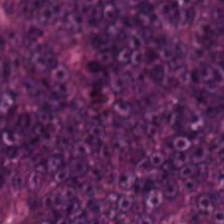Hematoxylin-and-eosin stained section.
Tissue: colorectal adenocarcinoma epithelium.
